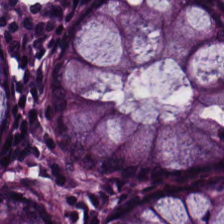Benign colonic mucosa.
